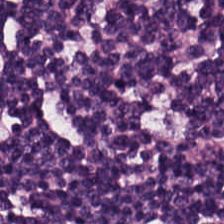Q: What type of tissue is this?
A: This is lymphoid infiltrate.
